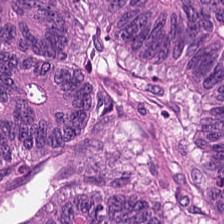Stain: H&E stain.
Tissue class: colorectal adenocarcinoma epithelium.
